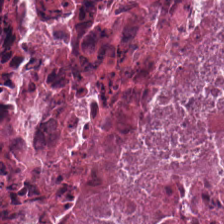Hematoxylin-and-eosin stained section. 0.5 µm/px.
Classification = debris.
